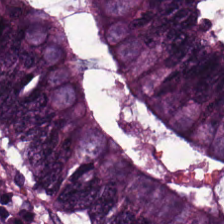Hematoxylin-and-eosin section: adenocarcinoma.
